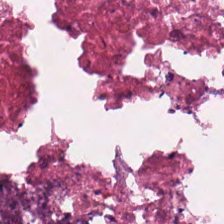H&E-stained tissue section. Tissue class = debris.
